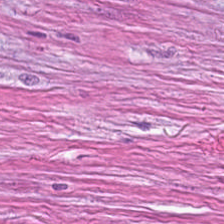0.5 µm per pixel; H&E-stained tissue section. Impression — tumor stroma.
